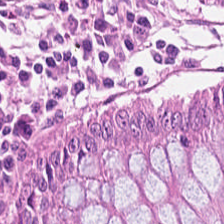FFPE tissue section; H&E stain — The tissue here is normal colonic mucosa.
